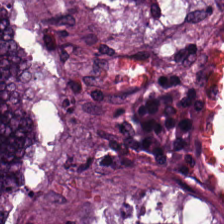Hematoxylin-and-eosin stained section.
Q: What is shown here?
A: The field shows adenocarcinoma.
